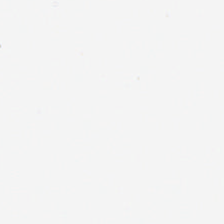Field content: no tissue.
